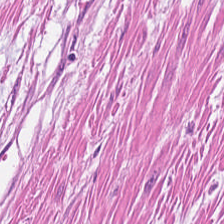Stain: hematoxylin-and-eosin stained section.
Tissue: muscularis.
